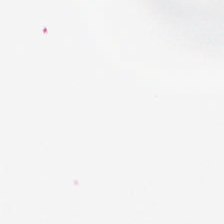WSI patch · H&E-stained tissue section · FFPE tissue section. Field content: no tissue.
